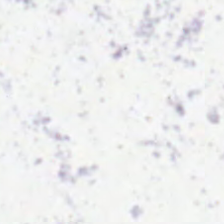Stain: H&E stain.
Acquisition: brightfield.
Field content: empty background.
